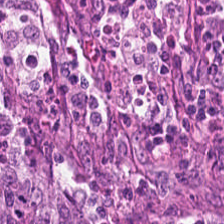Q: Identify the tissue.
A: This is malignant epithelium.
